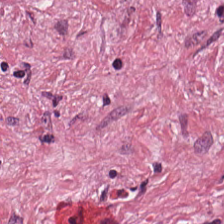Brightfield. Hematoxylin and eosin. The tissue is tumor-associated stroma.
